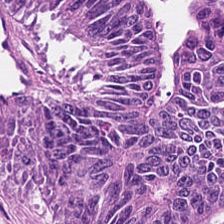Stain: hematoxylin-and-eosin stained section.
Tissue: colorectal adenocarcinoma epithelium.
